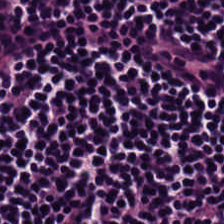H&E stain.
Histology — lymphocytic infiltrate.
